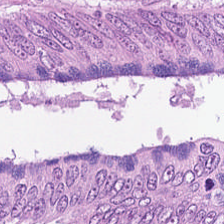H&E.
Impression — malignant epithelium.
